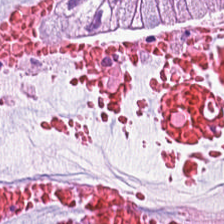H&E stain — Q: What type of tissue is this?
A: It is mucin.
